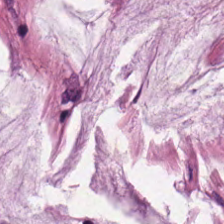FFPE · H&E.
Classification: extracellular mucin.
